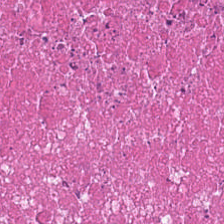Tissue — debris.
